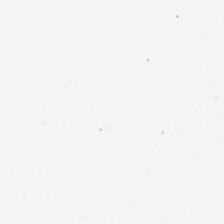Background — no tissue in this field.
